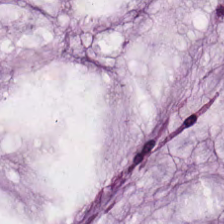Hematoxylin-and-eosin stained section — Predominant tissue: mucin.
